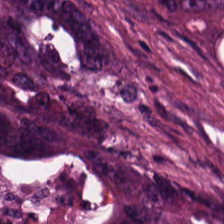H&E patch showing malignant epithelium.
